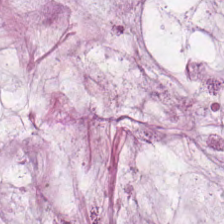The tissue here is mucus.
